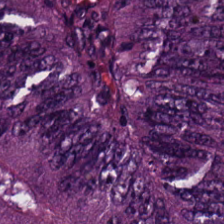Hematoxylin and eosin. The tissue here is malignant epithelium.
